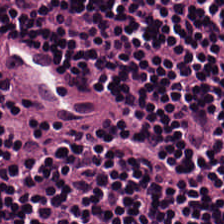Stain: H&E-stained tissue section.
Resolution: 0.5 microns per pixel.
Classification: lymphocytes.
